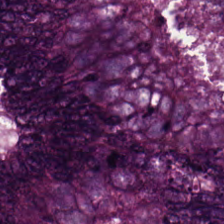WSI patch · FFPE tissue section · hematoxylin-and-eosin stained section. Q: Classify this patch.
A: This is colorectal adenocarcinoma.
